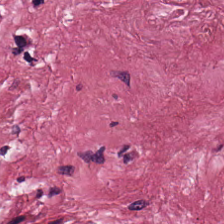Hematoxylin-and-eosin stained section.
Q: What is the predominant tissue type?
A: Tumor stroma.
